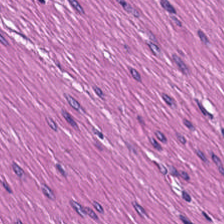The tissue is smooth muscle.
